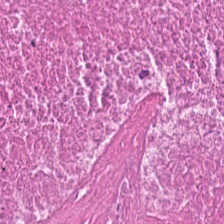Impression — debris.
